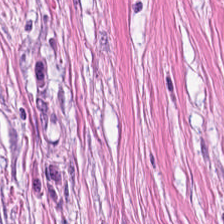224×224 pixel tile · 0.5 µm/px · hematoxylin-and-eosin stained section — Histology — tumor-associated stroma.
